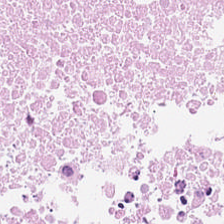H&E stain; 0.5 µm per pixel; 224×224 pixel tile.
Classification = cellular debris.
